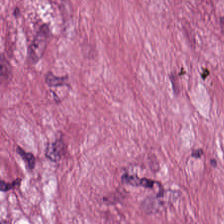H&E stain. Tissue — desmoplastic stroma.
